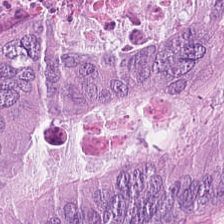H&E-stained section; the field shows tumor epithelium.
